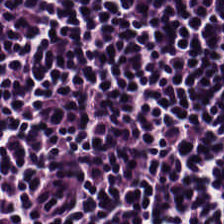The tissue here is lymphocytes.
